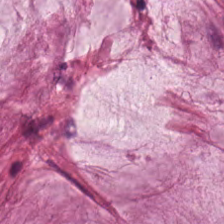H&E stain — Q: What is shown in this field?
A: Mucin.
